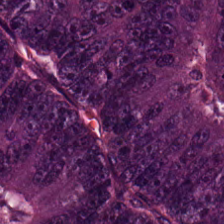Hematoxylin-and-eosin section: colorectal adenocarcinoma epithelium.
